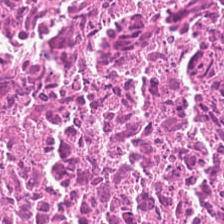Tissue = debris.
